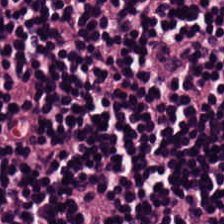H&E-stained tissue section.
Predominant tissue — lymphocyte aggregate.
